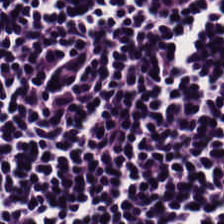Hematoxylin-and-eosin stained section · 0.5 µm per pixel · FFPE tissue section.
Predominantly lymphocytes.
